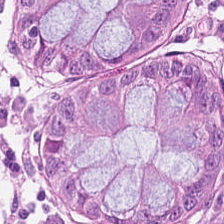H&E stain.
This patch shows normal colon mucosa.
